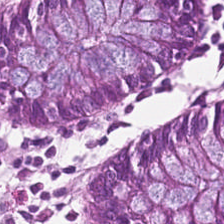Hematoxylin-and-eosin section: normal colonic mucosa.
